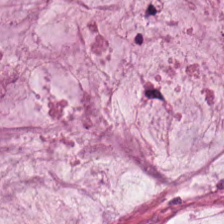0.5 µm per pixel; hematoxylin and eosin. {"tissue_type": "extracellular mucin"}
